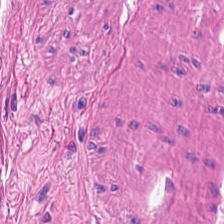Hematoxylin-and-eosin stained section. 224×224 pixel tile. 0.5 microns per pixel. Q: What type of tissue is this?
A: Muscularis.
